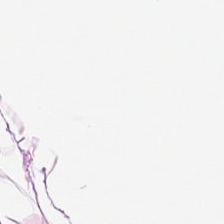Hematoxylin and eosin; 0.5 microns per pixel — Q: What is shown here?
A: This is adipose tissue.
